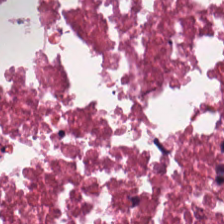Stain: H&E stain.
Acquisition: whole-slide-image patch.
Resolution: 0.5 microns per pixel.
Predominant tissue: debris.
